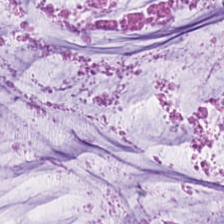Whole-slide-image patch. Hematoxylin-and-eosin stained section. The predominant tissue is mucin.
